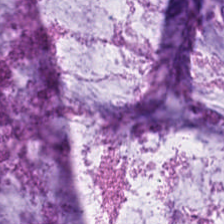Stain: H&E.
Tile size: 224×224 px tile.
Predominant tissue: mucin.
